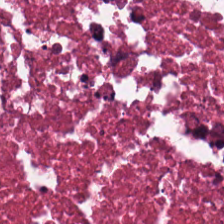Hematoxylin-and-eosin stained section.
Q: What tissue is shown?
A: Debris.
